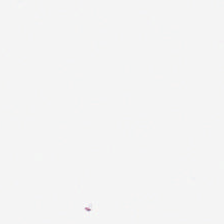No tissue.
